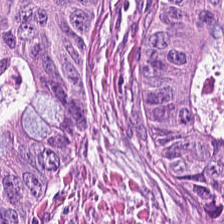H&E-stained section; the field shows malignant epithelium.
